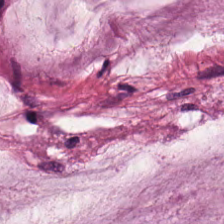0.5 microns per pixel; H&E; FFPE tissue section — Predominant tissue = mucus.
